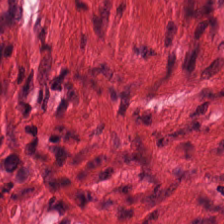Hematoxylin-and-eosin stained section. Formalin-fixed paraffin-embedded section. Q: Identify the tissue.
A: The field shows smooth-muscle tissue.
